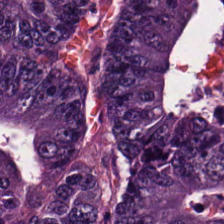Hematoxylin and eosin — This field is colorectal adenocarcinoma epithelium.
